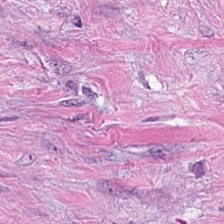H&E.
The tissue type is tumor stroma.
